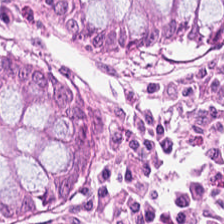H&E-stained tissue section showing normal colonic mucosa.
